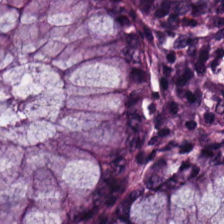Brightfield. 20× equivalent magnification. H&E-stained tissue section. {"tissue_type": "normal colon mucosa"}
